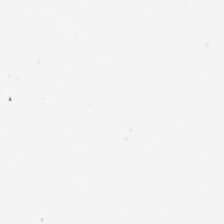This field is background (no tissue).
